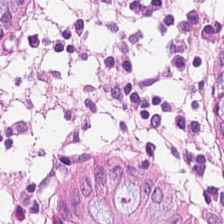Predominantly normal colon mucosa.
